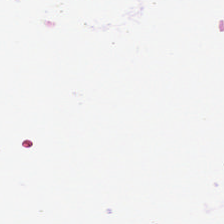H&E-stained tissue section.
This field is background (no tissue).
